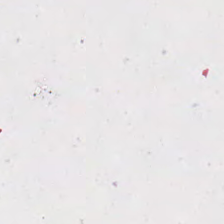Hematoxylin and eosin. Empty background.
